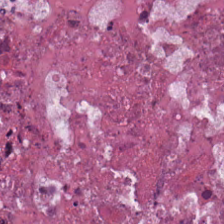FFPE tissue section · H&E stain — Debris.
